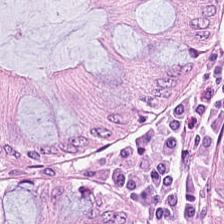Stain: H&E-stained tissue section.
Tissue type: normal colon mucosa.
